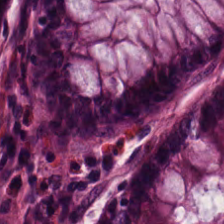H&E.
The tissue here is non-neoplastic colon mucosa.
